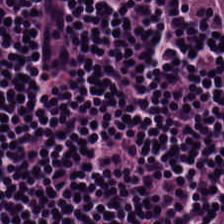Stain: H&E stain.
Acquisition: brightfield.
Tile size: 224×224 px patch.
Tissue type: lymphoid infiltrate.
